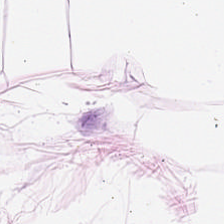Hematoxylin-and-eosin stained section; 224×224 pixel tile. This patch shows fat tissue.
